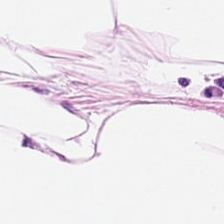Stain: hematoxylin-and-eosin stained section.
Tile size: 224×224 px tile.
Predominant tissue: fat tissue.
